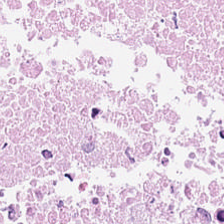Hematoxylin-and-eosin stained section; 0.5 µm per pixel.
Predominant tissue = cellular debris.
